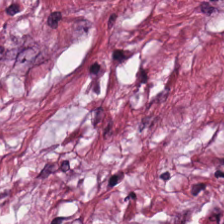H&E stain — Classification — cancer-associated stroma.
